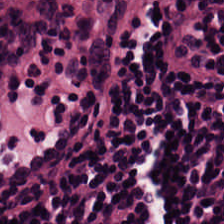Hematoxylin and eosin.
Q: What is shown here?
A: This is lymphocytes.
